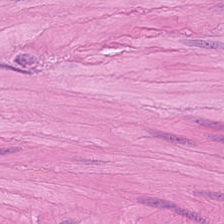Whole-slide-image patch; hematoxylin and eosin — The tissue here is muscularis.
